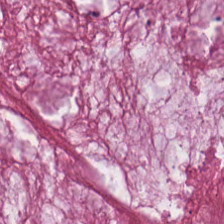Stain: hematoxylin-and-eosin stained section.
Tissue class: mucus.
